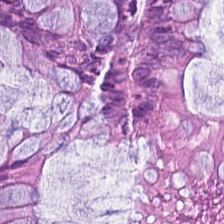224×224 pixel tile; hematoxylin and eosin.
Q: What tissue is shown?
A: This is benign colonic mucosa.
